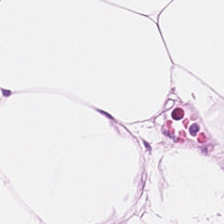Hematoxylin-and-eosin stained section. 224×224 px patch. The tissue here is adipose.
